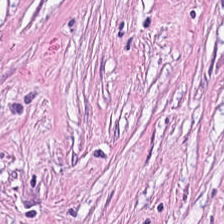Predominant tissue: tumor-associated stroma.
